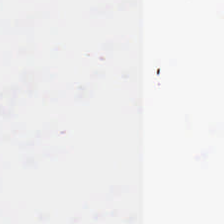H&E stain. {"content": "no tissue"}
